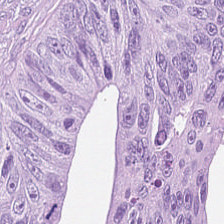20× equivalent magnification · hematoxylin and eosin — Impression — adenocarcinoma.
